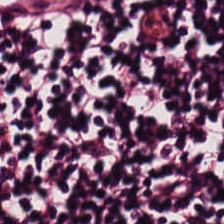H&E stain; brightfield. Q: What type of tissue is this?
A: Lymphocyte aggregate.
